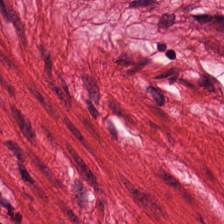H&E-stained tissue section.
Showing muscularis.
